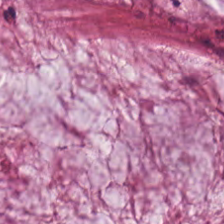224×224 px patch · H&E-stained tissue section — This field is mucin.
